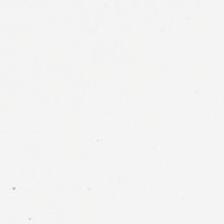Hematoxylin-and-eosin stained section — Classification: background.
